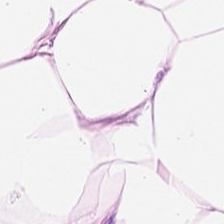Hematoxylin-and-eosin stained section. 0.5 microns per pixel.
Adipose.
